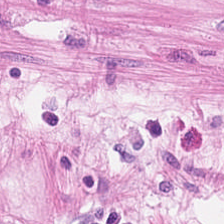Q: What is shown here?
A: Smooth muscle.
